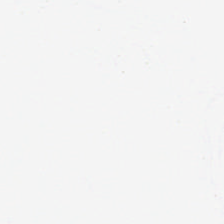Hematoxylin and eosin — This patch shows background (no tissue).
